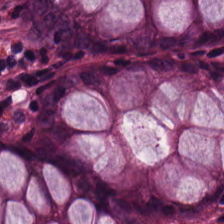Hematoxylin and eosin — Showing benign colonic mucosa.
